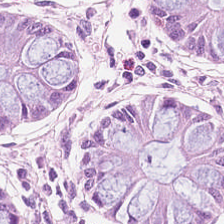Hematoxylin and eosin. This field is normal colon mucosa.
